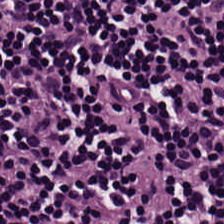Hematoxylin-and-eosin stained section. {"tissue_type": "lymphoid infiltrate"}
